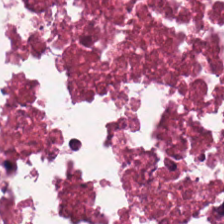Brightfield; hematoxylin and eosin.
Showing cellular debris.
